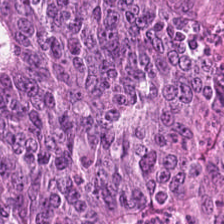H&E.
Finding — adenocarcinoma.
